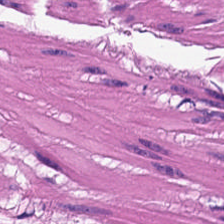H&E-stained tissue section. 224×224 px tile. 0.5 microns per pixel.
Showing smooth-muscle tissue.
